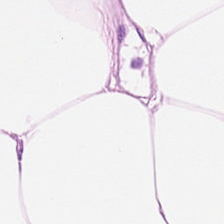Showing adipocytes.
